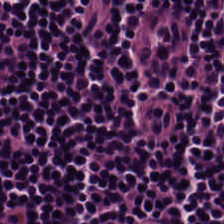Brightfield. H&E-stained tissue section.
The classification is lymphoid infiltrate.
